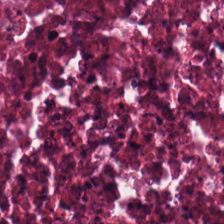H&E — Q: What is shown here?
A: This is debris.
